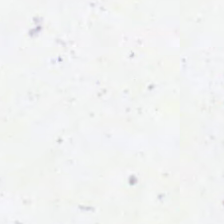Stain: hematoxylin-and-eosin stained section.
Preparation: formalin-fixed paraffin-embedded section.
Classification: empty background.
